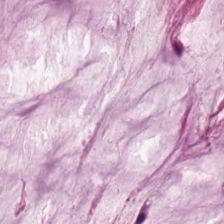Brightfield microscopy · H&E stain — Mucin.
